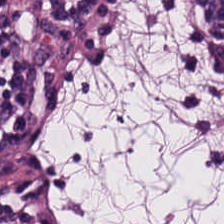Stain: H&E.
Preparation: FFPE.
Tile size: 224×224 pixel tile.
Predominant tissue: lymphocyte aggregate.
